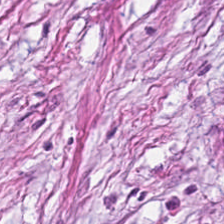The predominant tissue is desmoplastic stroma.
